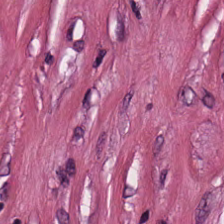Stain: H&E-stained tissue section.
Predominant tissue: tumor-associated stroma.
